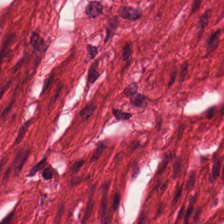H&E-stained tissue section.
This patch shows smooth-muscle tissue.
